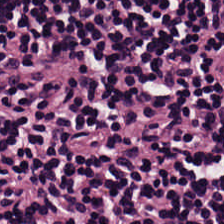Hematoxylin and eosin — Q: What is shown here?
A: The field shows lymphoid infiltrate.
